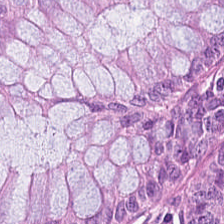Formalin-fixed paraffin-embedded section · 224×224 px tile · H&E — Tissue class = normal colonic mucosa.
